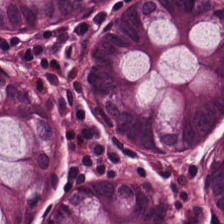Hematoxylin and eosin. Finding — normal colonic mucosa.
